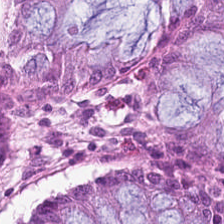Formalin-fixed paraffin-embedded section. Hematoxylin-and-eosin stained section — {"tissue_type": "benign colonic mucosa"}
